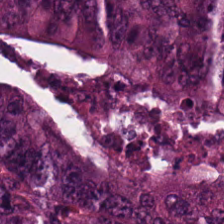Predominantly tumor epithelium.
